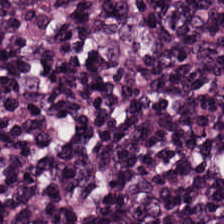0.5 µm/px. Hematoxylin and eosin. Brightfield — Tissue type = lymphocytic infiltrate.
